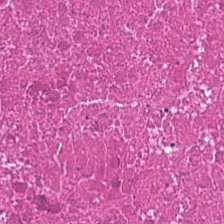FFPE tissue section; hematoxylin and eosin; 20× equivalent magnification — This field is cellular debris.
